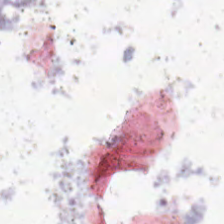WSI patch · FFPE · H&E stain. Q: What does this patch show?
A: This is background.
